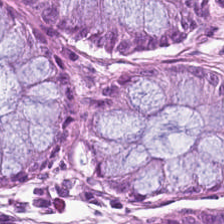Stain: H&E-stained tissue section.
Resolution: 20× equivalent magnification.
Tissue: normal colon mucosa.
